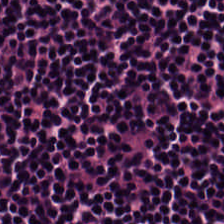H&E · brightfield microscopy — Lymphocytic infiltrate.
